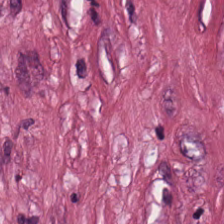H&E-stained tissue section. Impression → tumor stroma.
